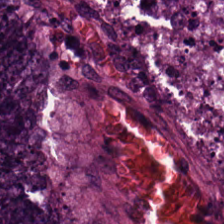224×224 px tile · H&E-stained tissue section — Tissue class = malignant epithelium.
